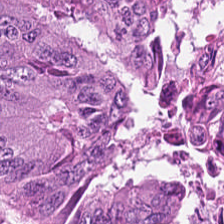H&E-stained tissue section. Tissue = adenocarcinoma.
